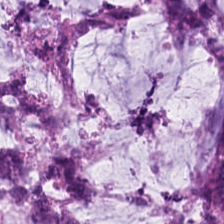Hematoxylin and eosin. FFPE. 20× equivalent magnification — The tissue class is mucus.
